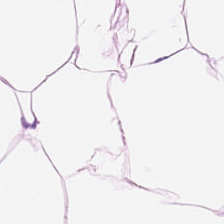H&E.
The tissue here is adipocytes.
